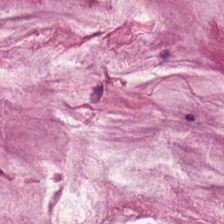H&E.
Tissue type = extracellular mucin.
